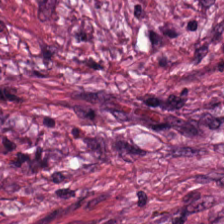224×224 px tile · H&E — Tissue = tumor stroma.
